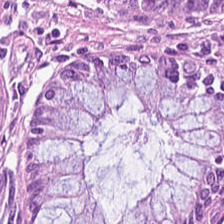Predominantly normal colonic mucosa.
